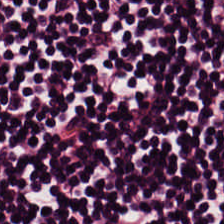Stain: H&E stain.
Tissue type: lymphocyte aggregate.
